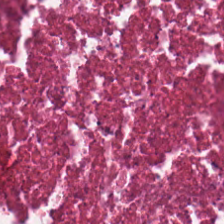H&E — {"tissue_type": "debris"}
